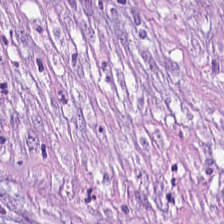This field is tumor stroma.
